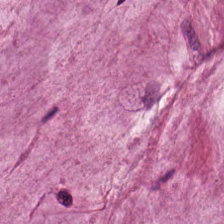Whole-slide-image patch. H&E-stained tissue section. Q: What does this patch show?
A: It is mucin.
